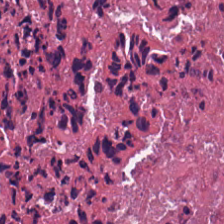This patch shows debris.
